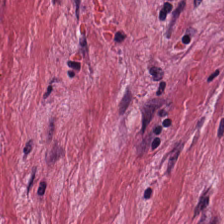H&E-stained section; the field shows tumor-associated stroma.
